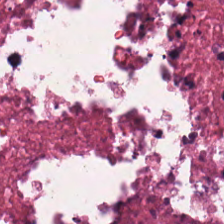The tissue type is cellular debris.
